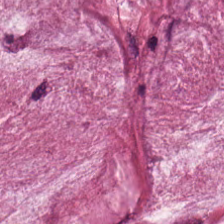Stain: hematoxylin-and-eosin stained section.
Tissue type: mucus.
